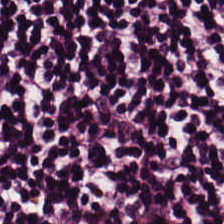Q: What is the predominant tissue type?
A: This is lymphocyte aggregate.
